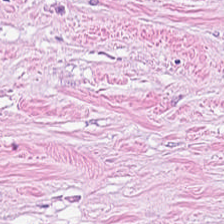Hematoxylin and eosin.
The tissue is tumor-associated stroma.
